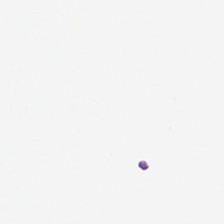Empty background.
